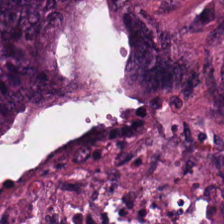H&E stain · brightfield microscopy. The tissue here is colorectal adenocarcinoma epithelium.
